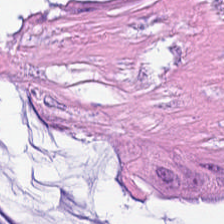Stain: hematoxylin-and-eosin stained section.
Tile size: 224×224 px tile.
Tissue: extracellular mucin.
